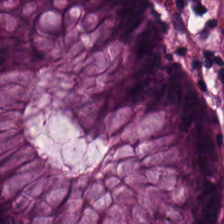Hematoxylin and eosin.
Tissue type — non-neoplastic colon mucosa.
